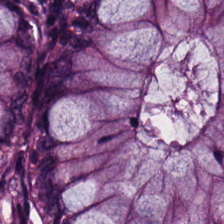This field is normal colon mucosa.
